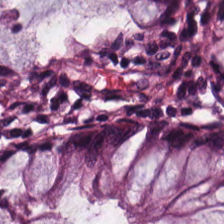H&E — Predominant tissue — non-neoplastic colon mucosa.
